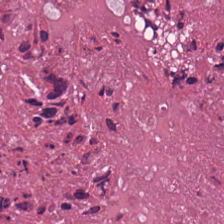H&E stain.
{"tissue_type": "debris"}
